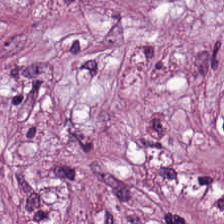Hematoxylin and eosin. Predominantly cancer-associated stroma.
